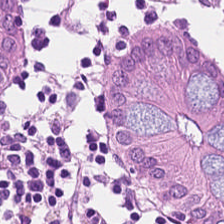Stain: hematoxylin-and-eosin stained section.
Tissue: non-neoplastic colon mucosa.
